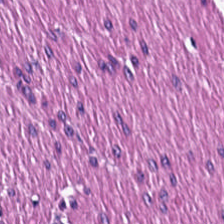224×224 px patch · H&E stain.
{"tissue_type": "smooth muscle"}
